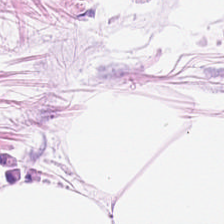H&E-stained tissue section · 0.5 microns per pixel. This field is adipose tissue.
